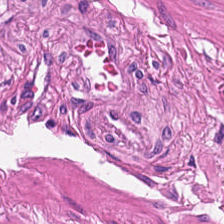Tissue: smooth muscle.
